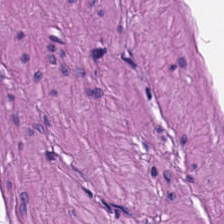H&E stain; WSI patch — Impression → smooth muscle.
